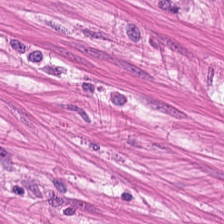Formalin-fixed paraffin-embedded section · hematoxylin and eosin. Q: What tissue is shown?
A: It is smooth muscle.
